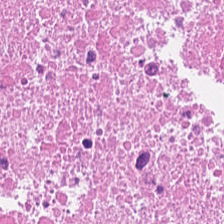H&E-stained tissue section. Showing cellular debris.
